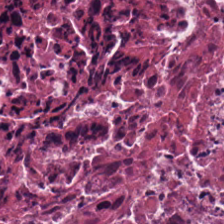Tissue type — debris.
